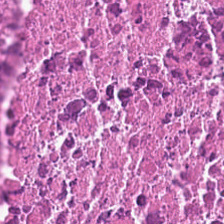H&E-stained tissue section · 224×224 px patch · 20× equivalent magnification. Histology → necrotic debris.
